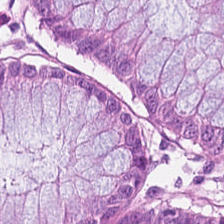Stain: H&E.
Tissue: normal colonic mucosa.
